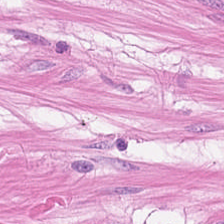H&E stain.
Predominant tissue = smooth-muscle tissue.
